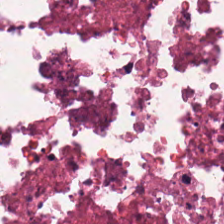FFPE; H&E — Showing debris.
